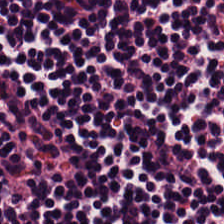Hematoxylin and eosin; 224×224 px patch — Showing lymphocytic infiltrate.
